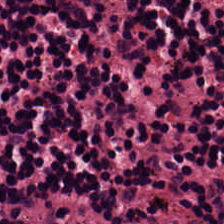H&E stain. 20× equivalent magnification. Tissue = lymphocyte aggregate.
